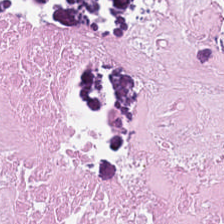{"tissue_type": "necrotic debris"}
